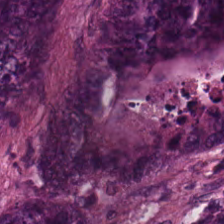Brightfield. Hematoxylin and eosin. Q: What type of tissue is this?
A: Malignant epithelium.
